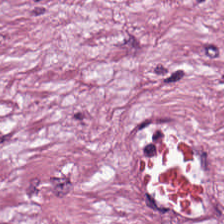FFPE tissue section; hematoxylin-and-eosin stained section; 224×224 px tile.
Tissue class = tumor stroma.
